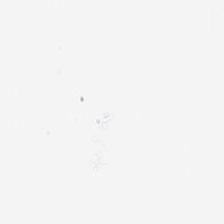224×224 px tile · 0.5 µm per pixel · H&E stain.
Field content = background (no tissue).
